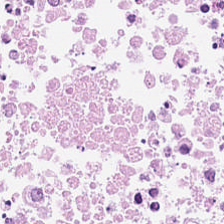{"tissue_type": "necrotic debris"}
